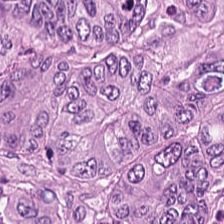Q: What tissue is shown?
A: Colorectal adenocarcinoma.
